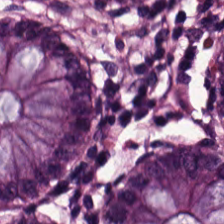{"tissue_type": "normal colon mucosa"}
